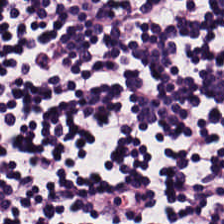Brightfield; H&E stain; formalin-fixed paraffin-embedded section. Classification = lymphocytic infiltrate.
